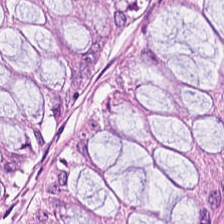Hematoxylin and eosin — This patch shows non-neoplastic colon mucosa.
